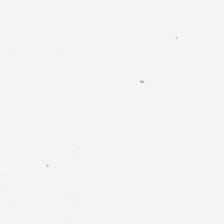Content — empty background.
